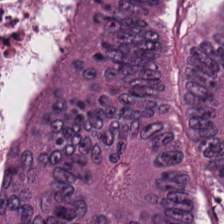H&E · 20× equivalent magnification. Tissue = colorectal adenocarcinoma epithelium.
